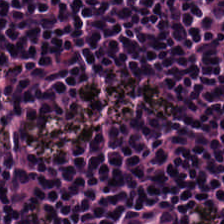H&E — lymphocytic infiltrate.
